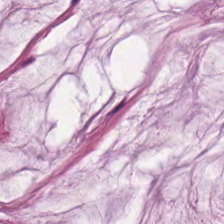Stain: H&E-stained tissue section.
Classification: mucin.
